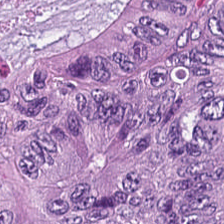H&E.
Tissue class: colorectal adenocarcinoma epithelium.
